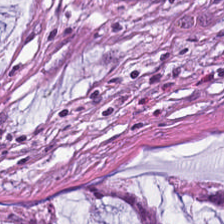Brightfield. Hematoxylin and eosin. 224×224 px patch.
Predominantly mucin.
